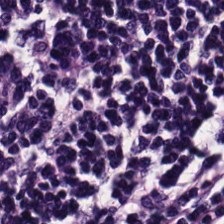The tissue here is lymphocyte aggregate.
